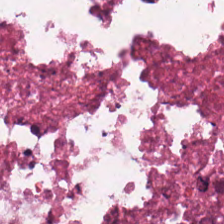H&E-stained tissue section · brightfield — Q: What type of tissue is this?
A: The field shows cellular debris.
